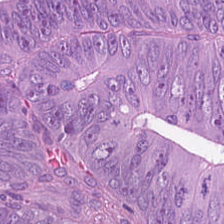Hematoxylin-and-eosin stained section · 224×224 px patch · WSI patch. The tissue here is tumor epithelium.
